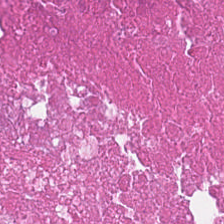224×224 pixel tile. Hematoxylin and eosin — The predominant tissue is cellular debris.
